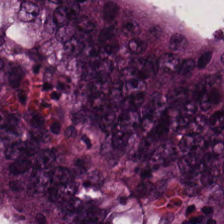H&E-stained tissue section.
Histology — colorectal adenocarcinoma epithelium.
